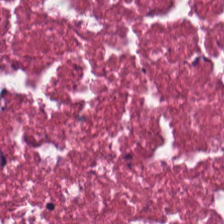Brightfield microscopy · H&E — Q: Identify the tissue.
A: The field shows debris.
